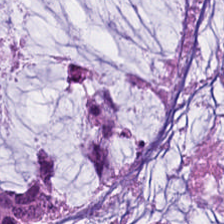H&E-stained tissue section — Q: What does this patch show?
A: It is mucus.
